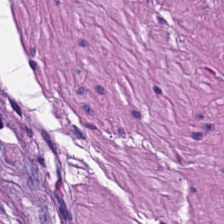H&E — Predominantly muscularis.
